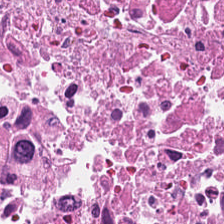H&E-stained tissue section — {"tissue_type": "necrotic debris"}
